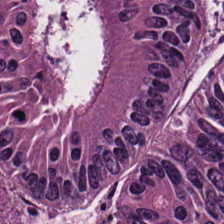H&E.
Impression — malignant epithelium.
